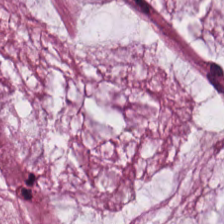Histology → mucin.
